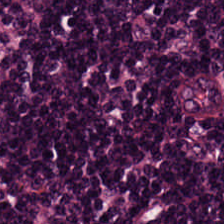WSI patch; hematoxylin and eosin.
Q: What is shown in this field?
A: It is lymphocytes.
